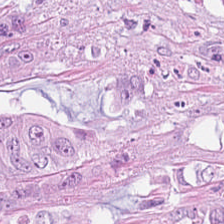0.5 microns per pixel · FFPE · hematoxylin and eosin. The tissue here is colorectal adenocarcinoma epithelium.
